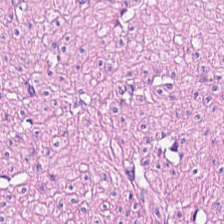224×224 px tile · hematoxylin-and-eosin stained section — Tissue class: smooth-muscle tissue.
